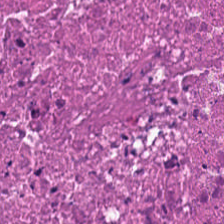H&E-stained tissue section.
This patch shows cellular debris.
